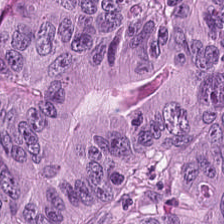0.5 microns per pixel. Hematoxylin and eosin.
Q: What is shown in this field?
A: The field shows tumor epithelium.
